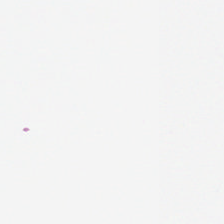Content: no tissue.
